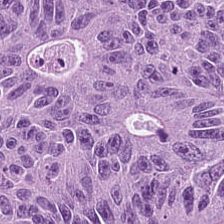Stain: H&E-stained tissue section.
Predominant tissue: colorectal adenocarcinoma epithelium.
